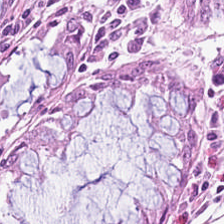Hematoxylin-and-eosin stained section.
Non-neoplastic colon mucosa.
